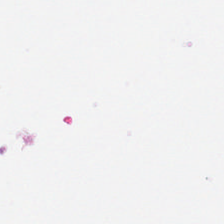H&E. 224×224 px patch — Content — no tissue.
